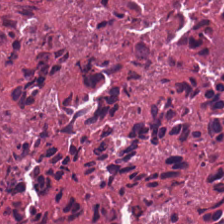H&E stain.
Tissue = debris.
